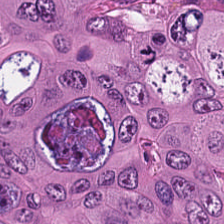Classification: adenocarcinoma.
